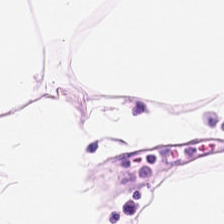Hematoxylin and eosin — Q: What tissue type is shown here?
A: It is adipose tissue.
